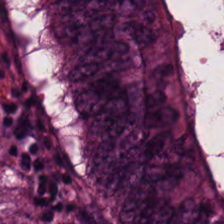0.5 microns per pixel. Hematoxylin-and-eosin stained section. {"tissue_type": "colorectal adenocarcinoma"}
